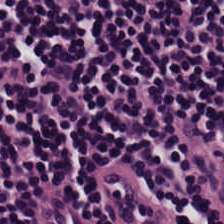Tissue type: lymphocyte aggregate.
